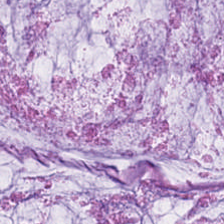Impression — mucus.
